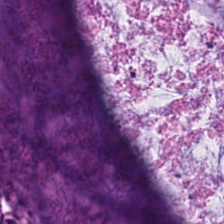Stain: hematoxylin and eosin.
Tissue: extracellular mucin.
